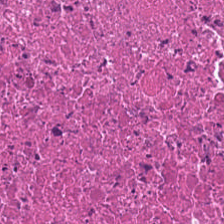224×224 px tile · H&E stain. The tissue here is necrotic debris.
